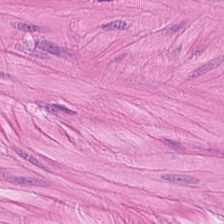H&E-stained tissue section — Q: What tissue is shown?
A: This is muscularis.
